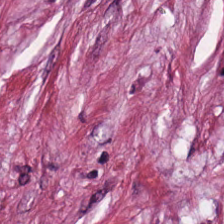Brightfield. Hematoxylin and eosin. 224×224 px patch — {"tissue_type": "cancer-associated stroma"}
